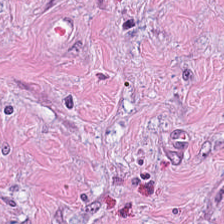Hematoxylin-and-eosin stained section. FFPE tissue section. This patch shows tumor stroma.
